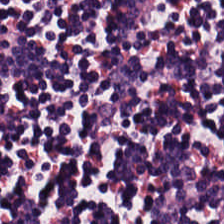FFPE tissue section; H&E stain; brightfield microscopy. Lymphocytes.
